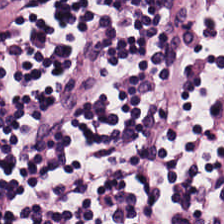Hematoxylin-and-eosin stained section · brightfield microscopy.
Q: Identify the tissue.
A: This is lymphoid infiltrate.
